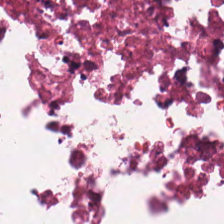The tissue class is cellular debris.
